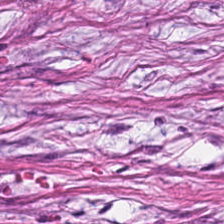Q: What does this patch show?
A: It is desmoplastic stroma.
